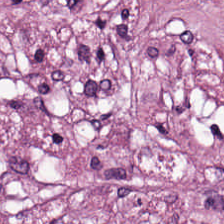Hematoxylin and eosin — The tissue here is desmoplastic stroma.
